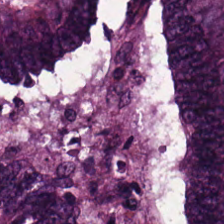Tissue type = colorectal adenocarcinoma.
